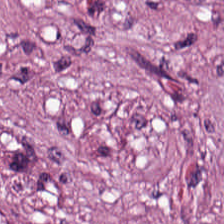Stain: hematoxylin and eosin.
Tissue type: tumor-associated stroma.
